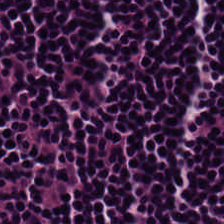Hematoxylin-and-eosin stained section — The predominant tissue is lymphocyte aggregate.
